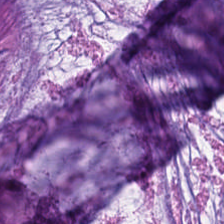H&E.
Tissue class = mucus.
